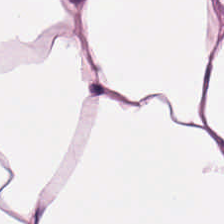Q: What type of tissue is this?
A: It is fat tissue.
